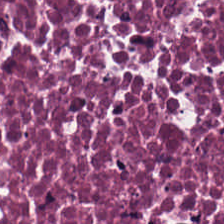H&E stain. Formalin-fixed paraffin-embedded section — The tissue is necrotic debris.
